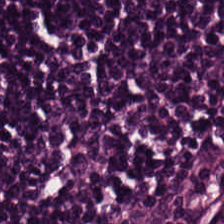Classification — lymphocyte aggregate.
